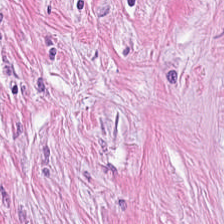H&E — Tissue — desmoplastic stroma.
